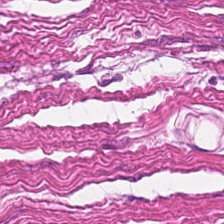H&E-stained tissue section.
Histology — smooth-muscle tissue.
